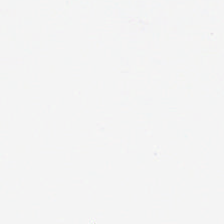Classification = no tissue.
